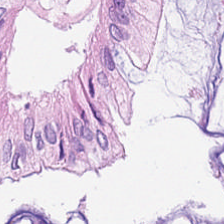Showing non-neoplastic colon mucosa.
